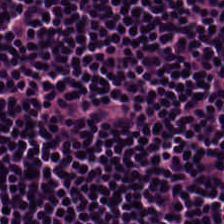H&E.
This field is lymphocytes.
